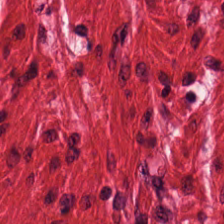H&E stain.
The predominant tissue is smooth muscle.
